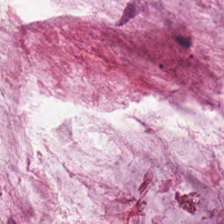Hematoxylin-and-eosin stained section. 224×224 px tile — Histology → mucus.
